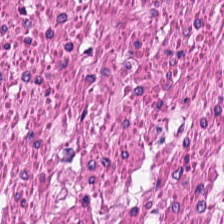224×224 px patch · 0.5 microns per pixel · H&E stain — Q: What is shown in this field?
A: Smooth-muscle tissue.
